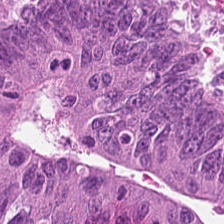Stain: H&E stain.
Tissue class: colorectal adenocarcinoma epithelium.
